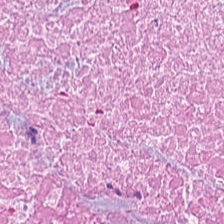FFPE tissue section · hematoxylin-and-eosin stained section. Debris.
